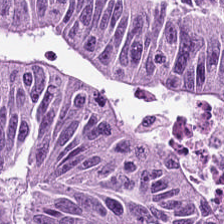FFPE · H&E-stained tissue section — Tissue type = colorectal adenocarcinoma epithelium.
